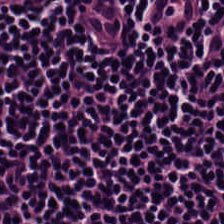Stain: hematoxylin-and-eosin stained section.
Tissue class: lymphocyte aggregate.
